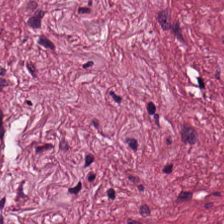WSI patch. H&E-stained tissue section — Q: What does this patch show?
A: The field shows tumor stroma.
